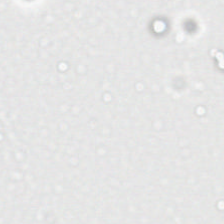H&E-stained tissue section — This field is background (no tissue).
